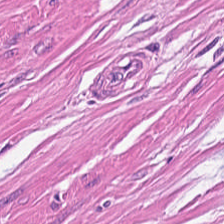Hematoxylin and eosin.
This field is smooth-muscle tissue.
